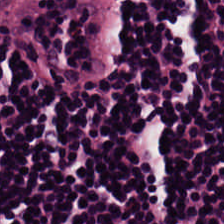The tissue is lymphocyte aggregate.
